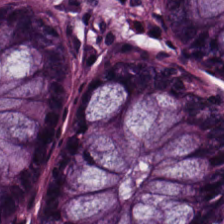The tissue class is benign colonic mucosa.
